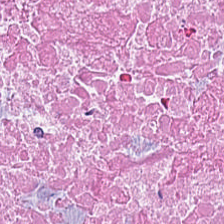H&E-stained tissue section.
Tissue = debris.
